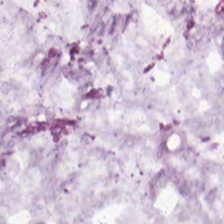H&E-stained tissue section. Brightfield microscopy — The predominant tissue is mucin.
